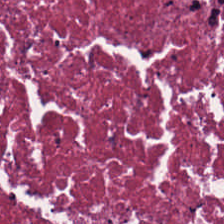Impression — debris.
